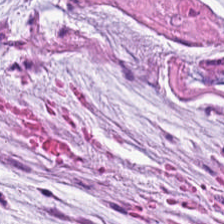H&E-stained tissue section.
Q: What is shown here?
A: Mucin.
